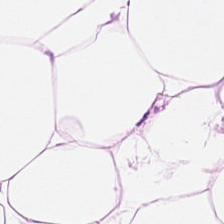The tissue is fat tissue.
